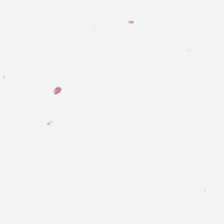Formalin-fixed paraffin-embedded section; hematoxylin and eosin.
Q: What is shown in this field?
A: The field shows no tissue.
